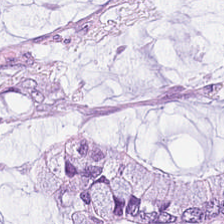H&E. Q: What is shown in this field?
A: Mucus.
